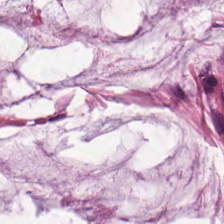Hematoxylin and eosin. Q: What is the predominant tissue type?
A: Mucin.
